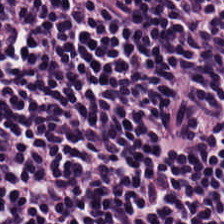Q: What is shown here?
A: This is lymphocyte aggregate.
